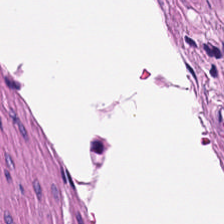Formalin-fixed paraffin-embedded section · H&E-stained tissue section. Tissue type: muscularis.
